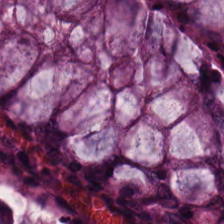H&E stain; 224×224 px tile — The tissue here is benign colonic mucosa.
